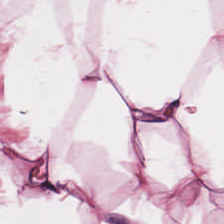Hematoxylin-and-eosin stained section. Histology → adipocytes.
